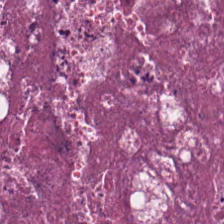{"tissue_type": "cellular debris"}
